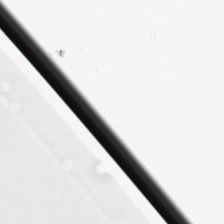Finding → no tissue.
